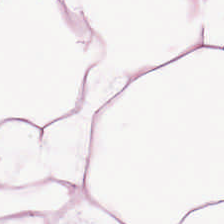H&E stain. 224×224 pixel tile — Q: What tissue is shown?
A: This is adipose tissue.
